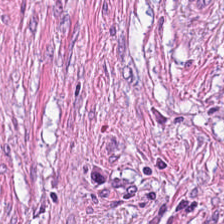Hematoxylin and eosin — Histology → tumor-associated stroma.
